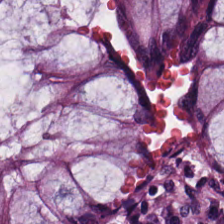Stain: H&E stain.
Tissue class: normal colonic mucosa.
